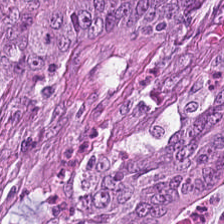Hematoxylin-and-eosin stained section — Showing adenocarcinoma.
